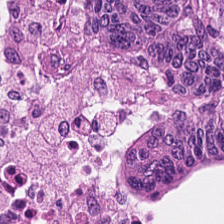Hematoxylin and eosin · FFPE — Adenocarcinoma.
